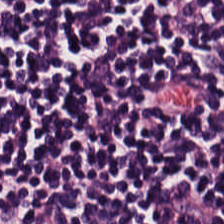Brightfield microscopy · 0.5 µm/px · H&E-stained tissue section — The tissue class is lymphoid infiltrate.
